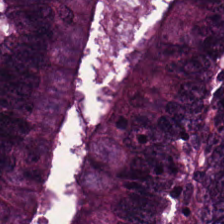0.5 µm per pixel. H&E stain — Q: What is shown in this field?
A: This is adenocarcinoma.
